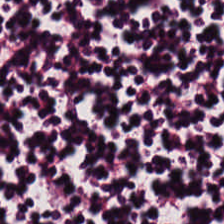Tissue class = lymphocyte aggregate.
